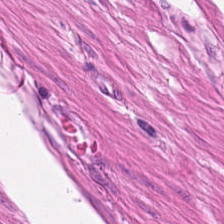224×224 px patch. H&E-stained tissue section. Formalin-fixed paraffin-embedded section — The tissue type is muscularis.
